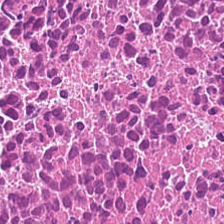Hematoxylin and eosin.
Tissue class: necrotic debris.
